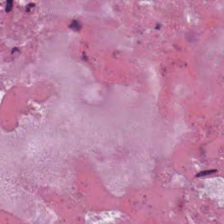H&E-stained tissue section.
Showing cellular debris.
